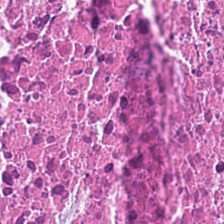Stain: H&E-stained tissue section.
Tissue: cellular debris.
